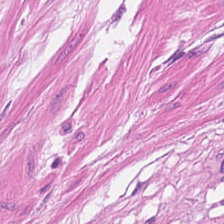H&E stain. 20× equivalent magnification. Smooth-muscle tissue.
